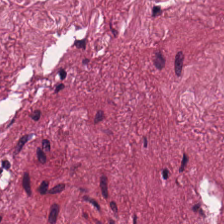H&E; 0.5 µm per pixel.
The classification is desmoplastic stroma.
